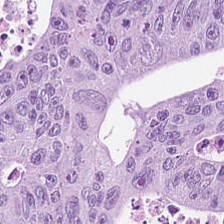Stain: hematoxylin and eosin.
Acquisition: whole-slide-image patch.
Predominant tissue: malignant epithelium.
